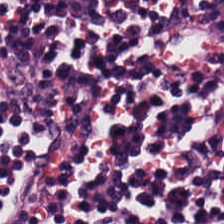Hematoxylin and eosin — Tissue class = lymphocytes.
